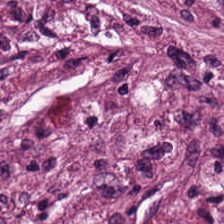Stain: hematoxylin and eosin.
Predominant tissue: tumor stroma.
